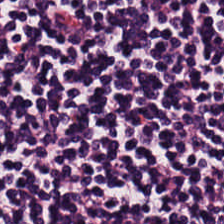Q: What is shown here?
A: Lymphocytes.
